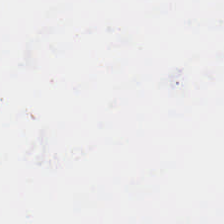Impression — background (no tissue).
